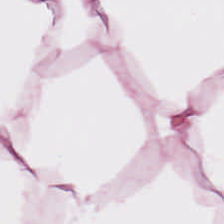Tissue = adipose.
